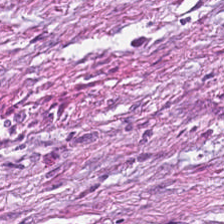H&E. The predominant tissue is desmoplastic stroma.
